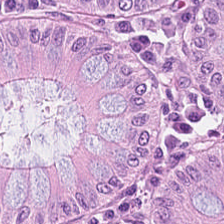H&E stain.
The predominant tissue is normal colon mucosa.
